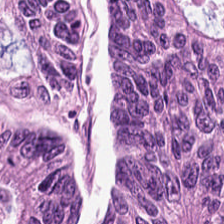Q: What is shown in this field?
A: This is adenocarcinoma.
